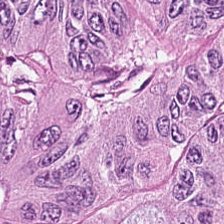H&E-stained tissue section. FFPE tissue section.
Finding — colorectal adenocarcinoma epithelium.
